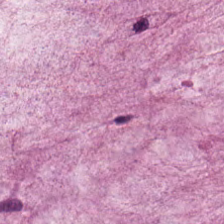This patch shows mucin.
